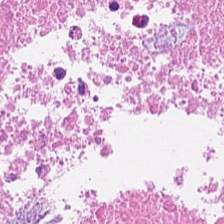FFPE · hematoxylin and eosin — Predominantly debris.
